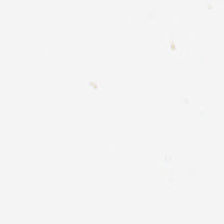This patch shows background (no tissue).
